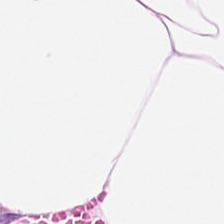H&E-stained tissue section; 0.5 µm/px.
The tissue class is adipose tissue.
